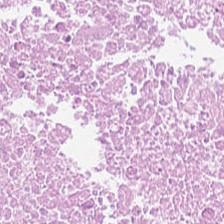Tissue type — necrotic debris.
